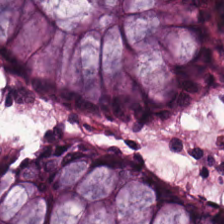224×224 pixel tile; H&E stain; WSI patch. This field is non-neoplastic colon mucosa.
